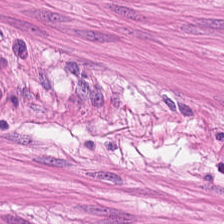H&E-stained tissue section.
Tissue — smooth muscle.
